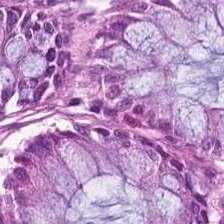The predominant tissue is normal colon mucosa.
